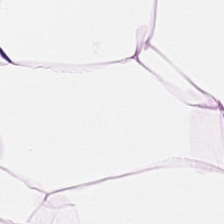H&E stain · 20× equivalent magnification · formalin-fixed paraffin-embedded section.
Q: What tissue type is shown here?
A: The field shows fat tissue.
